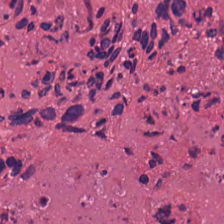H&E-stained tissue section. The predominant tissue is debris.
